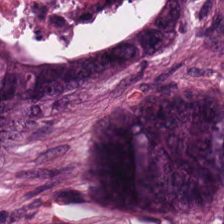Hematoxylin-and-eosin stained section. FFPE. Finding → adenocarcinoma.
